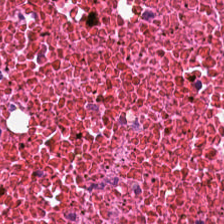H&E · formalin-fixed paraffin-embedded section · brightfield microscopy. Tissue class — necrotic debris.
